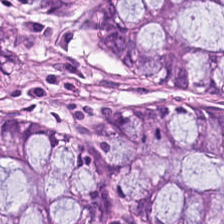H&E. Non-neoplastic colon mucosa.
